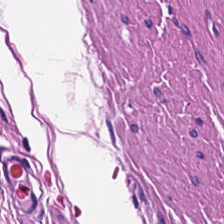Tissue = smooth muscle.
